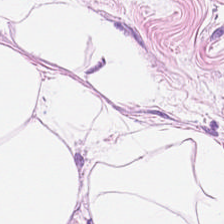H&E stain. Showing adipose tissue.
